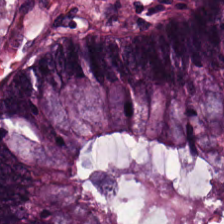The tissue type is adenocarcinoma.
